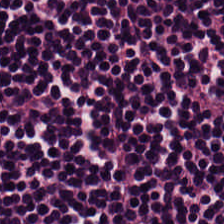Stain: hematoxylin and eosin.
Predominant tissue: lymphocytes.
